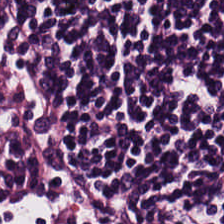The predominant tissue is lymphocyte aggregate.
